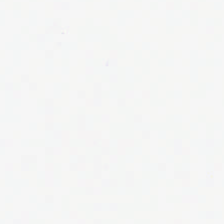Hematoxylin and eosin · formalin-fixed paraffin-embedded section.
Impression — background.
